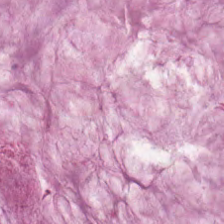224×224 px tile. H&E stain — Predominantly mucus.
